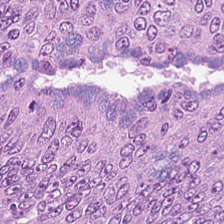Hematoxylin and eosin — Showing malignant epithelium.
